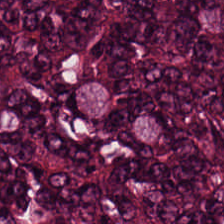H&E. 224×224 px patch. Finding → malignant epithelium.
